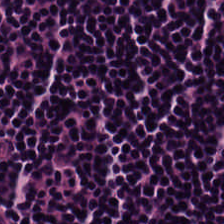FFPE tissue section; H&E stain — The tissue class is lymphocytic infiltrate.
